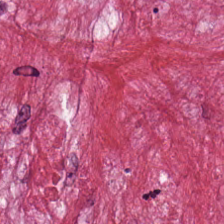Hematoxylin-and-eosin stained section.
Cancer-associated stroma.
